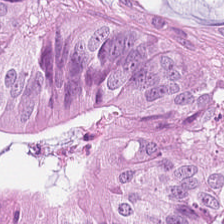H&E-stained tissue section — Finding — malignant epithelium.
